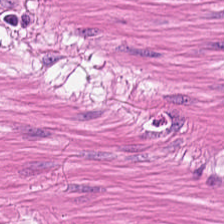Hematoxylin-and-eosin stained section. Smooth-muscle tissue.
